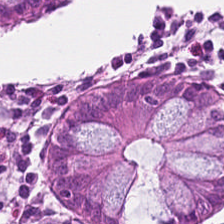H&E-stained tissue section. The predominant tissue is normal colon mucosa.
